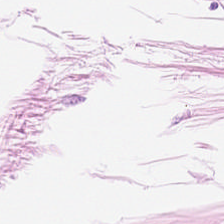224×224 px patch. H&E.
This field is fat tissue.
